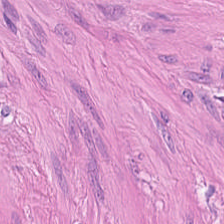{"tissue_type": "smooth muscle"}
